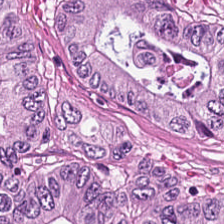H&E stain; formalin-fixed paraffin-embedded section — The predominant tissue is colorectal adenocarcinoma epithelium.
